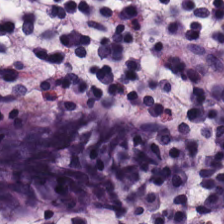Predominantly normal colon mucosa.
